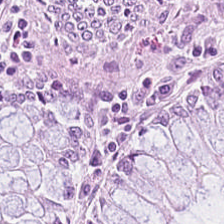0.5 µm/px; hematoxylin and eosin.
The tissue here is non-neoplastic colon mucosa.
